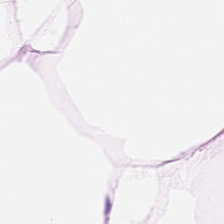0.5 µm per pixel; H&E.
Classification = adipose tissue.
